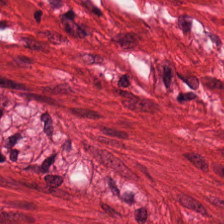224×224 px tile; hematoxylin and eosin.
Smooth-muscle tissue.
